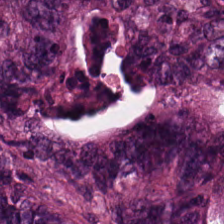H&E stain. 224×224 pixel tile.
Tissue class: tumor epithelium.
